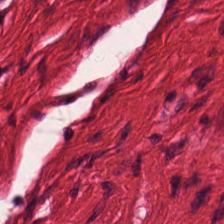Q: What does this patch show?
A: Smooth-muscle tissue.
